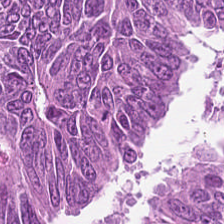H&E. Q: What does this patch show?
A: It is tumor epithelium.
